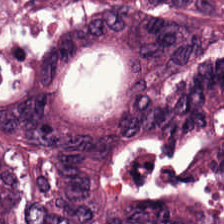The predominant tissue is colorectal adenocarcinoma.
